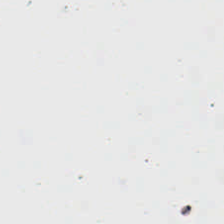FFPE tissue section · hematoxylin-and-eosin stained section · brightfield.
Background — no tissue in this field.
